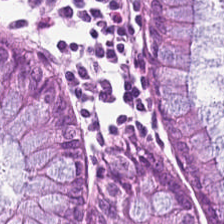Hematoxylin and eosin. Q: Identify the tissue.
A: The field shows normal colonic mucosa.
